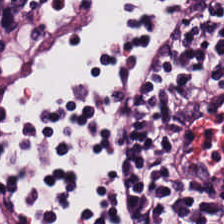0.5 µm/px. Hematoxylin-and-eosin stained section — The tissue class is lymphocytes.
